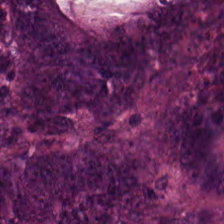0.5 µm/px · FFPE tissue section · H&E stain — Finding — adenocarcinoma.
